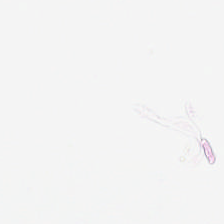H&E. Finding → no tissue.
